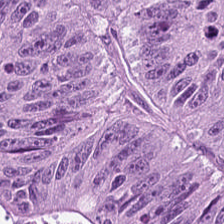Hematoxylin-and-eosin stained section. Brightfield — Tissue type = adenocarcinoma.
